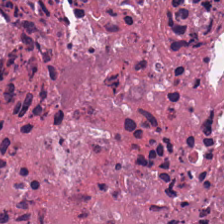Histology — necrotic debris.
